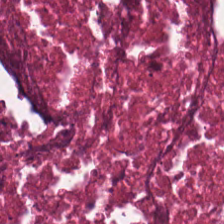Hematoxylin-and-eosin stained section.
Showing cellular debris.
